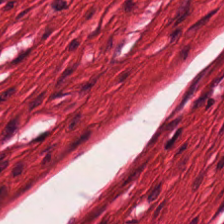H&E; 224×224 px patch.
Showing smooth-muscle tissue.
